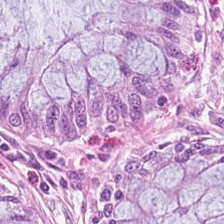Brightfield; H&E stain.
The tissue here is normal colon mucosa.
